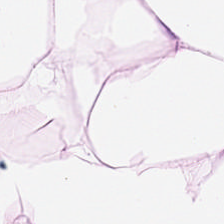Stain: H&E stain.
Resolution: 0.5 µm/px.
Predominant tissue: fat tissue.
